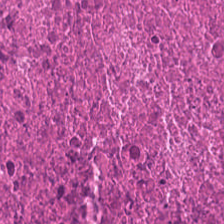H&E. WSI patch.
Q: What tissue type is shown here?
A: Debris.
